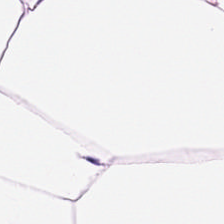H&E; 0.5 microns per pixel; 224×224 px tile — This patch shows adipose tissue.
